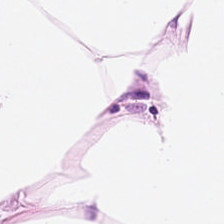H&E stain — Adipose tissue.
